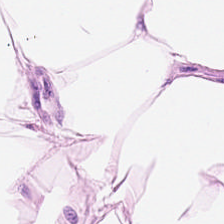0.5 µm per pixel · H&E stain · FFPE — Adipocytes.
